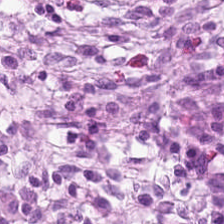H&E stain. 224×224 pixel tile. The tissue here is normal colon mucosa.
